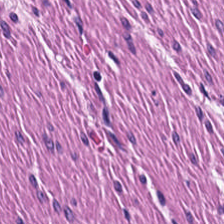H&E-stained tissue section. Formalin-fixed paraffin-embedded section — Tissue class = muscularis.
